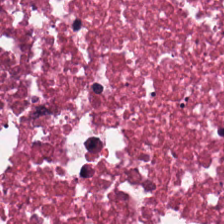Hematoxylin-and-eosin stained section.
Showing cellular debris.
